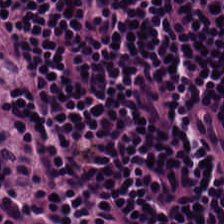H&E-stained tissue section · 20× equivalent magnification · brightfield microscopy — The tissue is lymphoid infiltrate.
